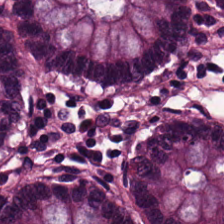Brightfield. Hematoxylin-and-eosin stained section — Showing normal colon mucosa.
